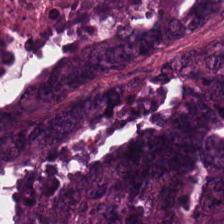224×224 px tile. Hematoxylin-and-eosin stained section — Q: What does this patch show?
A: Colorectal adenocarcinoma epithelium.
